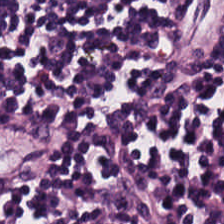H&E-stained tissue section.
Showing lymphoid infiltrate.
